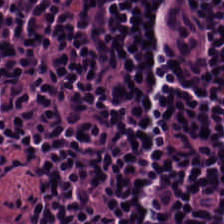H&E-stained tissue section showing lymphoid infiltrate.
